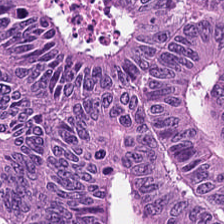Hematoxylin and eosin — Showing colorectal adenocarcinoma.
